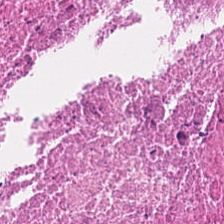H&E — cellular debris.
